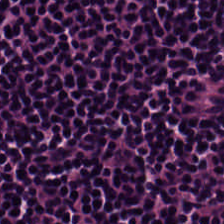Hematoxylin and eosin; FFPE — The tissue here is lymphocytic infiltrate.
